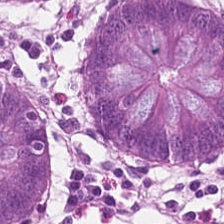224×224 pixel tile; H&E-stained tissue section.
Classification — normal colonic mucosa.
